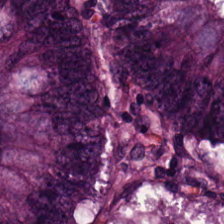0.5 µm per pixel. H&E-stained tissue section. FFPE.
The tissue type is colorectal adenocarcinoma.
